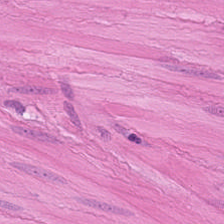Tissue type — muscularis.
